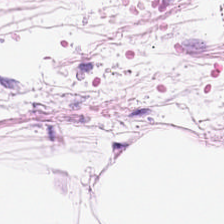Stain: hematoxylin-and-eosin stained section.
Preparation: formalin-fixed paraffin-embedded section.
Tile size: 224×224 px tile.
Predominant tissue: fat tissue.
